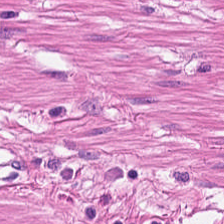224×224 px tile. Hematoxylin-and-eosin stained section. Formalin-fixed paraffin-embedded section.
The predominant tissue is smooth-muscle tissue.
